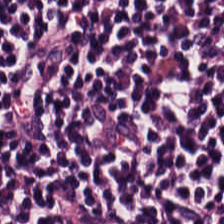The predominant tissue is lymphocytes.
